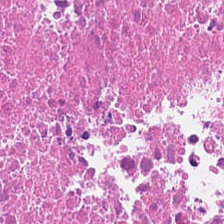The tissue here is cellular debris.
